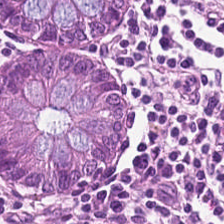Hematoxylin and eosin.
This field is normal colonic mucosa.
